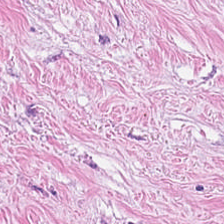H&E. Q: What is shown in this field?
A: This is tumor-associated stroma.
